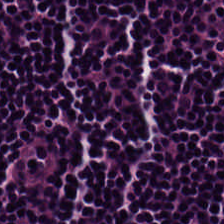Brightfield microscopy · H&E-stained tissue section.
Q: Classify this patch.
A: It is lymphocytes.
